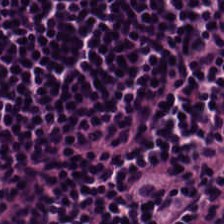Stain: hematoxylin-and-eosin stained section.
Classification: lymphocytic infiltrate.
